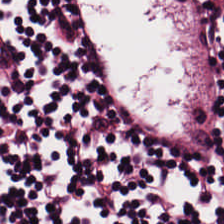H&E-stained tissue section — Tissue type — lymphocyte aggregate.
